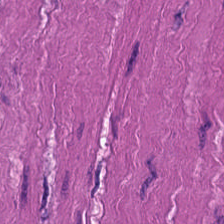H&E-stained tissue section. Predominant tissue: muscularis.
